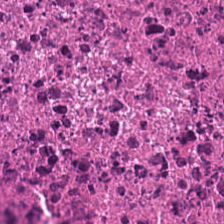H&E. Showing debris.
